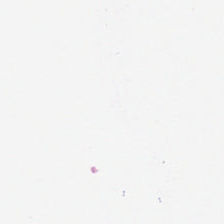H&E stain; 0.5 µm/px; 224×224 px tile.
Q: What does this patch show?
A: Background (no tissue).
